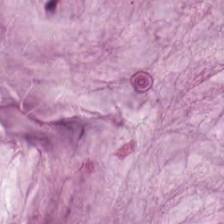Hematoxylin-and-eosin stained section — Q: What tissue type is shown here?
A: This is extracellular mucin.
